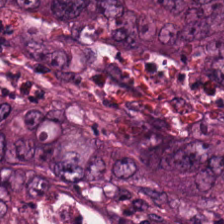H&E stain. Q: What tissue is shown?
A: Tumor epithelium.
